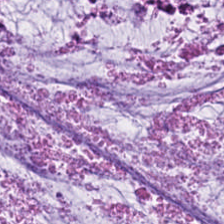H&E stain. This field is extracellular mucin.
